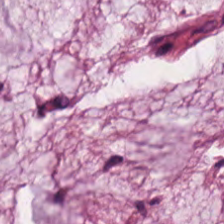Hematoxylin and eosin — Q: What is the predominant tissue type?
A: The field shows mucin.
